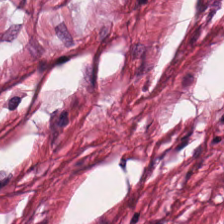Q: What tissue type is shown here?
A: The field shows tumor-associated stroma.
